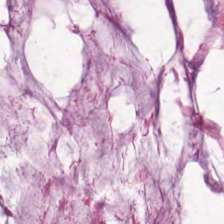H&E-stained tissue section; 224×224 px tile; brightfield. Tissue = mucin.
